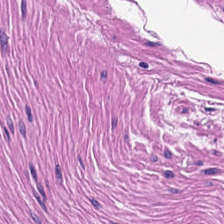224×224 px patch; hematoxylin-and-eosin stained section — This patch shows smooth-muscle tissue.
